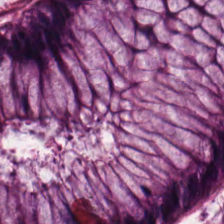Hematoxylin-and-eosin stained section · formalin-fixed paraffin-embedded section.
The tissue here is benign colonic mucosa.
